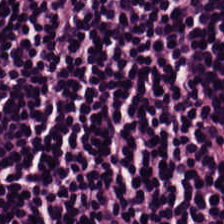The tissue here is lymphocytes.
